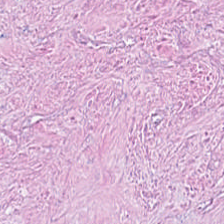H&E-stained tissue section.
The predominant tissue is debris.
